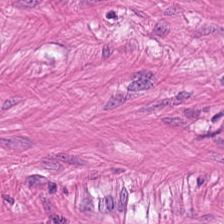H&E-stained tissue section; brightfield microscopy; 224×224 pixel tile. The classification is muscularis.
